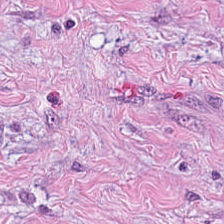H&E-stained tissue section showing desmoplastic stroma.
